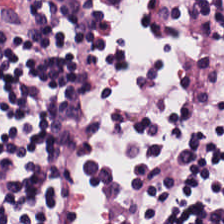H&E; 0.5 µm per pixel — This patch shows lymphocyte aggregate.
